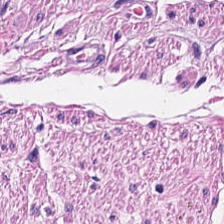224×224 px patch; whole-slide-image patch; H&E.
Muscularis.
